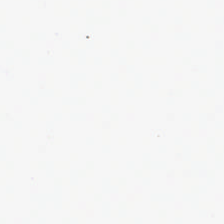This patch shows no tissue.
